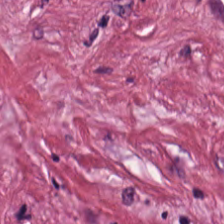Stain: hematoxylin and eosin.
Resolution: 20× equivalent magnification.
Tissue class: cancer-associated stroma.
